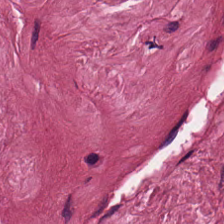H&E — The predominant tissue is cancer-associated stroma.
